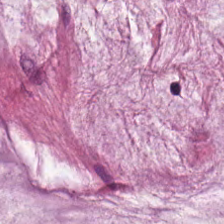Hematoxylin-and-eosin stained section — The predominant tissue is mucin.
